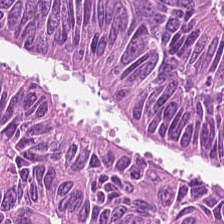Hematoxylin-and-eosin stained section. Tissue: tumor epithelium.
